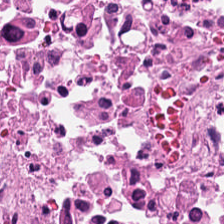H&E. Impression — necrotic debris.
